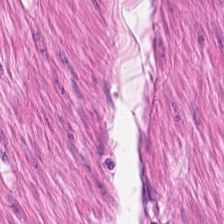Q: Classify this patch.
A: This is muscularis.
